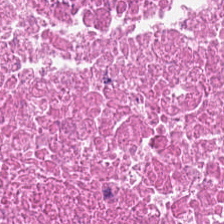H&E-stained tissue section · formalin-fixed paraffin-embedded section.
Histology → necrotic debris.
